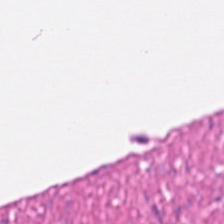Hematoxylin and eosin; FFPE; 224×224 px tile.
Predominantly smooth muscle.
